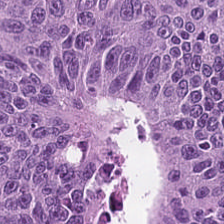Predominant tissue: colorectal adenocarcinoma.
